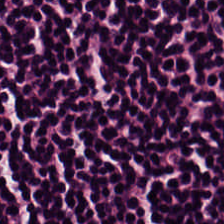H&E-stained tissue section.
The predominant tissue is lymphocyte aggregate.
